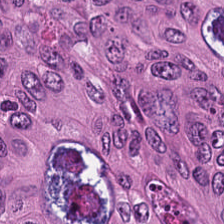The predominant tissue is malignant epithelium.
